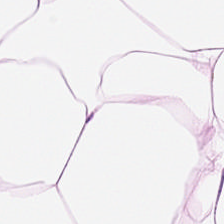Stain: hematoxylin-and-eosin stained section.
Preparation: FFPE tissue section.
Predominant tissue: adipose tissue.
